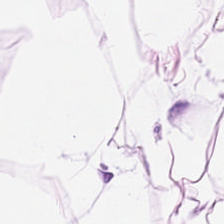H&E stain. 224×224 pixel tile. {"tissue_type": "adipose"}
